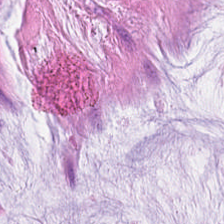H&E-stained tissue section showing mucus.
